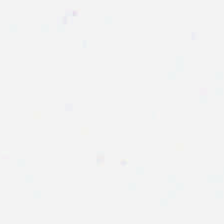This field is background (no tissue).
